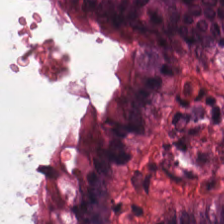Formalin-fixed paraffin-embedded section; hematoxylin and eosin; brightfield microscopy.
Q: Classify this patch.
A: Normal colon mucosa.
